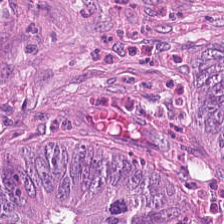Predominant tissue: adenocarcinoma.
